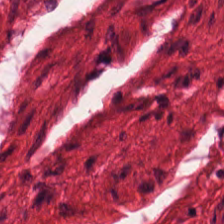224×224 px patch. Brightfield microscopy. Hematoxylin-and-eosin stained section — Q: What is the predominant tissue type?
A: This is smooth-muscle tissue.
